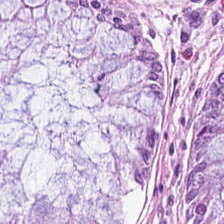H&E stain. Predominant tissue = benign colonic mucosa.
